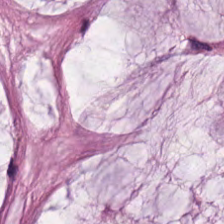Hematoxylin and eosin · brightfield microscopy.
Extracellular mucin.
